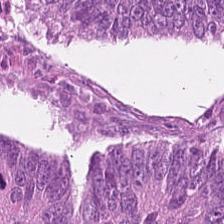H&E — Colorectal adenocarcinoma epithelium.
